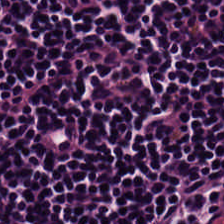H&E · 0.5 microns per pixel · whole-slide-image patch. Showing lymphocyte aggregate.
